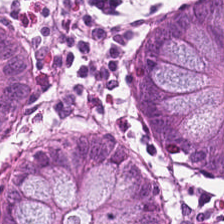H&E stain. The classification is non-neoplastic colon mucosa.
